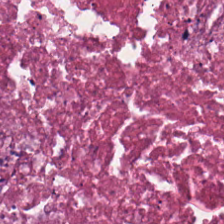Necrotic debris.
